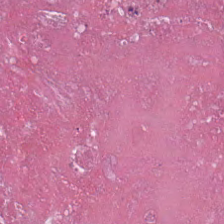H&E stain; formalin-fixed paraffin-embedded section. Tissue — debris.
